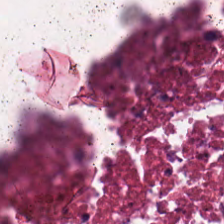Stain: H&E.
Tissue class: debris.
